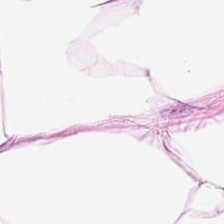224×224 px patch; hematoxylin-and-eosin stained section; 0.5 µm/px — Predominantly adipose.
